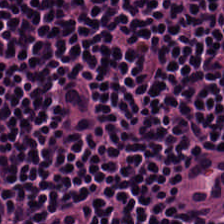Stain: H&E stain.
Tissue class: lymphocyte aggregate.
